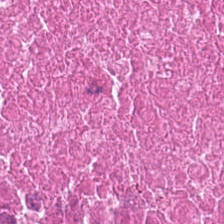H&E-stained tissue section. WSI patch — {"tissue_type": "cellular debris"}
